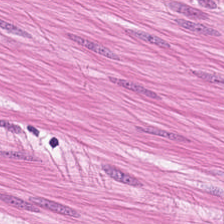0.5 µm/px; 224×224 px tile; H&E-stained tissue section.
Q: What is the predominant tissue type?
A: It is smooth muscle.
